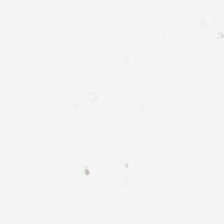Stain: hematoxylin and eosin.
Preparation: formalin-fixed paraffin-embedded section.
Field content: no tissue.
